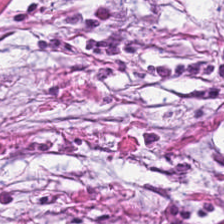224×224 pixel tile; H&E stain — The tissue type is tumor-associated stroma.
